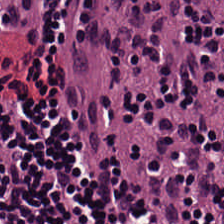Hematoxylin-and-eosin stained section; 0.5 microns per pixel. Tissue type = lymphocytic infiltrate.
